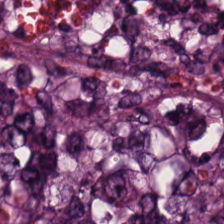{"tissue_type": "malignant epithelium"}
